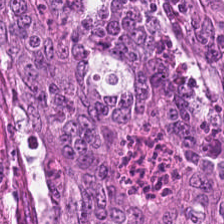The predominant tissue is malignant epithelium.
